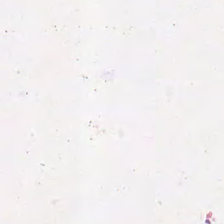H&E patch showing debris.
